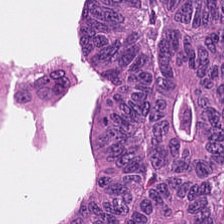Hematoxylin and eosin.
The tissue here is colorectal adenocarcinoma epithelium.
